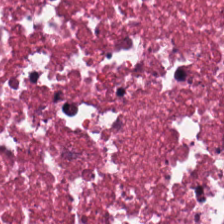H&E stain; 0.5 µm per pixel; FFPE. The tissue is necrotic debris.
